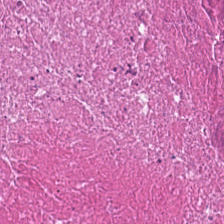H&E. Showing necrotic debris.
